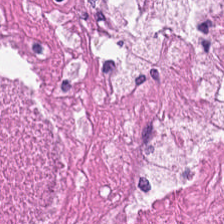Hematoxylin and eosin.
Showing debris.
